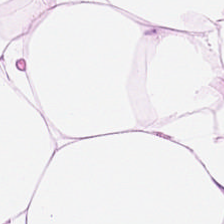224×224 pixel tile · H&E stain — Showing adipocytes.
